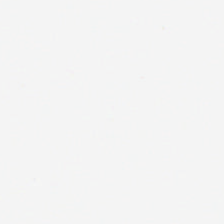This patch shows background.
